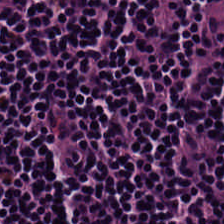Q: What is the predominant tissue type?
A: The field shows lymphocytic infiltrate.
